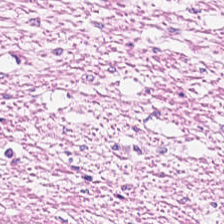Hematoxylin and eosin. This patch shows smooth muscle.
